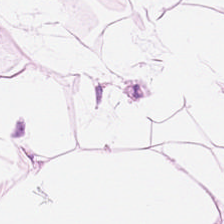224×224 px patch. H&E. 0.5 µm per pixel. This field is adipocytes.
